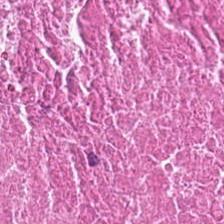0.5 microns per pixel · H&E-stained tissue section · brightfield.
The predominant tissue is debris.
